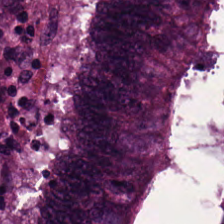Hematoxylin and eosin. Tissue class: adenocarcinoma.
